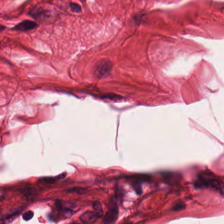Predominantly muscularis.
